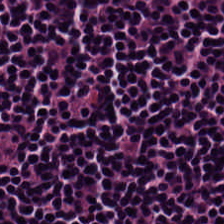Hematoxylin-and-eosin stained section — The tissue class is lymphoid infiltrate.
